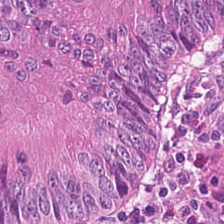Tissue type: adenocarcinoma.
